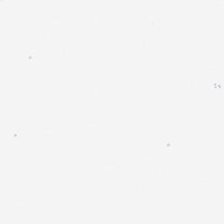224×224 px tile; hematoxylin-and-eosin stained section — Background.
